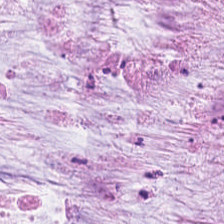The tissue class is mucin.
